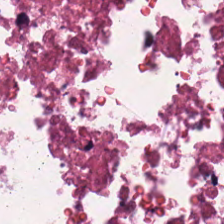H&E-stained tissue section — The tissue type is debris.
